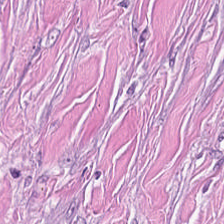Hematoxylin and eosin; brightfield microscopy. {"tissue_type": "tumor-associated stroma"}
